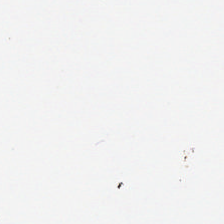Content — background (no tissue).
